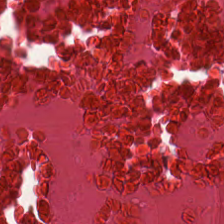Stain: hematoxylin-and-eosin stained section.
Classification: debris.
